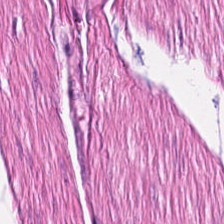Classification — muscularis.
